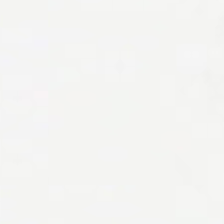Stain: H&E-stained tissue section.
Content: no tissue.
